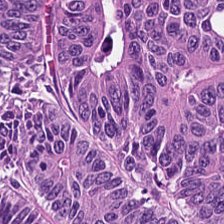224×224 pixel tile; hematoxylin and eosin; 0.5 microns per pixel. This patch shows colorectal adenocarcinoma epithelium.
